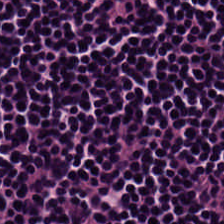H&E stain. Brightfield. {"tissue_type": "lymphocytes"}
